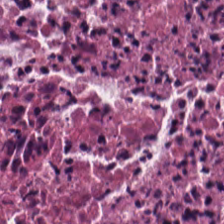The tissue here is debris.
